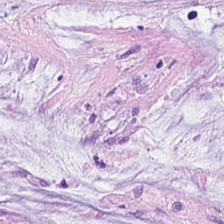H&E — mucus.
